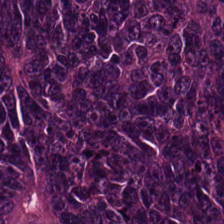Hematoxylin and eosin.
Q: Classify this patch.
A: The field shows colorectal adenocarcinoma epithelium.
